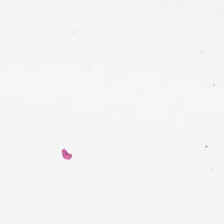Hematoxylin and eosin.
Empty background.
